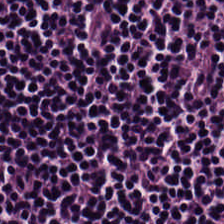224×224 px patch. H&E-stained tissue section — Histology — lymphoid infiltrate.
